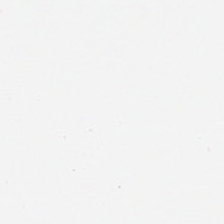Hematoxylin and eosin.
Impression — empty background.
